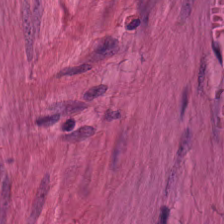H&E-stained tissue section.
Smooth-muscle tissue.
